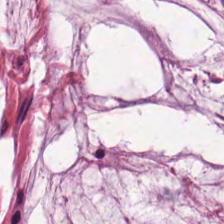Finding → mucus.
